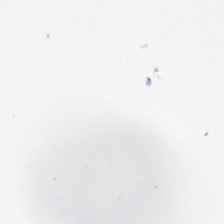Finding → no tissue.
